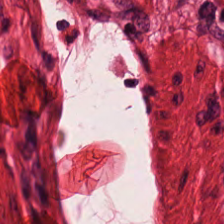Hematoxylin-and-eosin stained section.
This patch shows smooth-muscle tissue.
